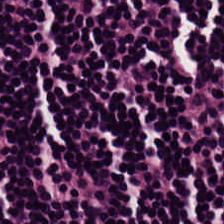The tissue here is lymphocytic infiltrate.
